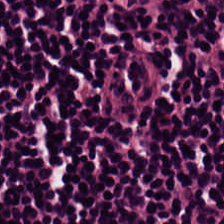H&E.
Classification — lymphocytic infiltrate.
